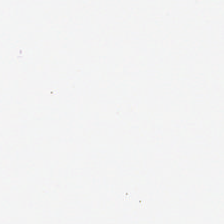Stain: hematoxylin-and-eosin stained section.
Tile size: 224×224 pixel tile.
Field content: empty background.
